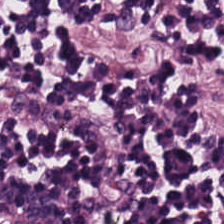{"tissue_type": "lymphocytes"}
